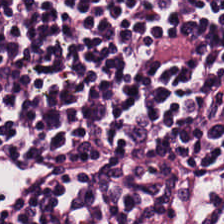{"tissue_type": "lymphocytic infiltrate"}
